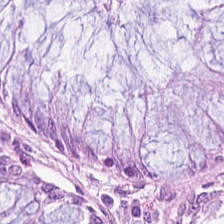Hematoxylin-and-eosin stained section. Non-neoplastic colon mucosa.
